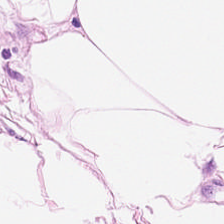H&E stain. Classification — adipose.
